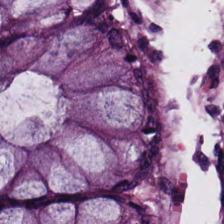H&E. Tissue = normal colonic mucosa.
